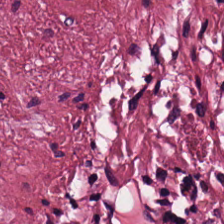Hematoxylin and eosin. WSI patch.
This field is tumor stroma.
